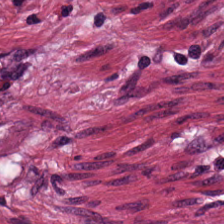20× equivalent magnification; hematoxylin-and-eosin stained section.
Finding → desmoplastic stroma.
